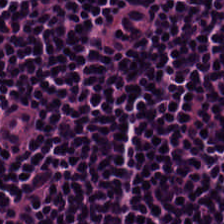224×224 px patch; hematoxylin and eosin. The tissue class is lymphocyte aggregate.
